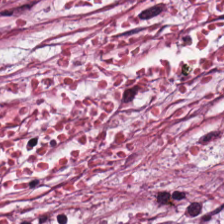H&E-stained tissue section — Tissue type: tumor-associated stroma.
